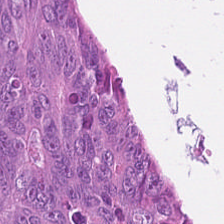Tissue = malignant epithelium.
